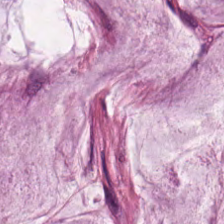Hematoxylin and eosin. The tissue class is mucin.
